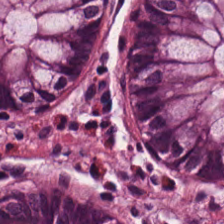20× equivalent magnification; FFPE tissue section; H&E. This patch shows benign colonic mucosa.
